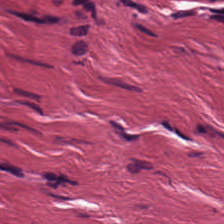Q: What type of tissue is this?
A: The field shows cancer-associated stroma.
